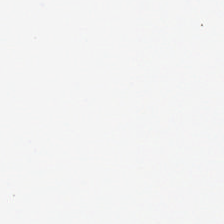No tissue.
